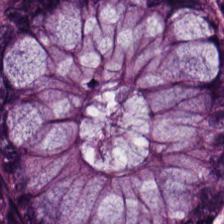Stain: hematoxylin and eosin.
Predominant tissue: normal colonic mucosa.
